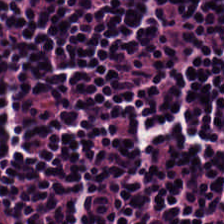Tissue class — lymphoid infiltrate.
